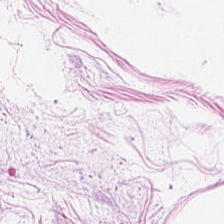H&E stain. Q: What tissue type is shown here?
A: This is adipocytes.
